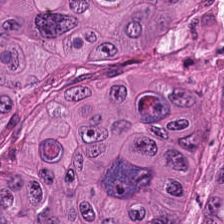{"tissue_type": "tumor epithelium"}
